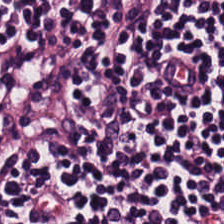H&E-stained tissue section · whole-slide-image patch. The tissue here is lymphocytes.
